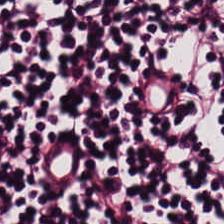Predominantly lymphocytes.
